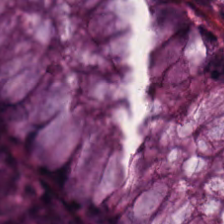H&E. This patch shows benign colonic mucosa.
